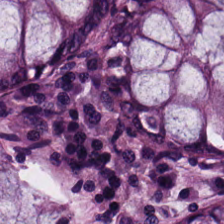H&E — Q: Identify the tissue.
A: It is benign colonic mucosa.
